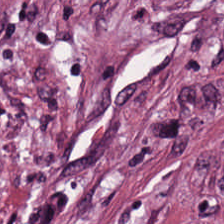224×224 px tile · hematoxylin and eosin.
Impression → tumor stroma.
